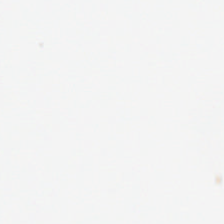H&E-stained tissue section.
This patch shows background.
